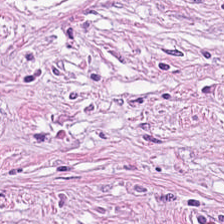Tissue = cancer-associated stroma.
